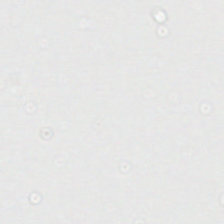The content is no tissue.
